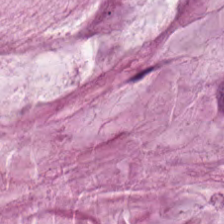Stain: hematoxylin and eosin.
Tissue type: extracellular mucin.
